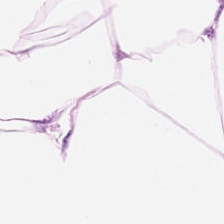H&E stain; 20× equivalent magnification; 224×224 px patch — Predominant tissue: adipose.
